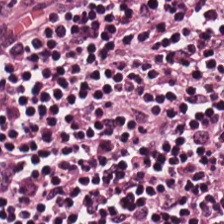Stain: hematoxylin-and-eosin stained section.
Resolution: 20× equivalent magnification.
Tile size: 224×224 px patch.
Classification: lymphocytic infiltrate.
